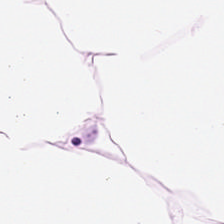WSI patch · FFPE tissue section · hematoxylin and eosin — Q: What tissue type is shown here?
A: The field shows fat tissue.
